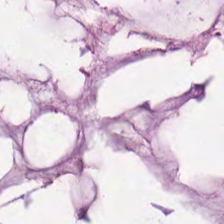Stain: H&E stain.
Tissue type: extracellular mucin.
